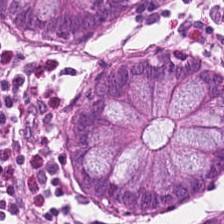224×224 px patch; hematoxylin and eosin; 0.5 µm/px.
Normal colonic mucosa.
